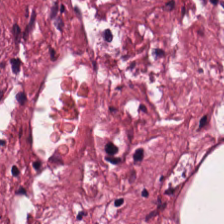This patch shows cancer-associated stroma.
